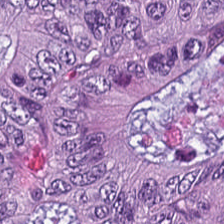Hematoxylin-and-eosin stained section — The predominant tissue is malignant epithelium.
